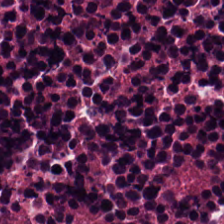Brightfield microscopy. H&E stain. The tissue is necrotic debris.
